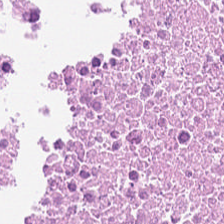Hematoxylin-and-eosin stained section. 20× equivalent magnification — Classification — debris.
